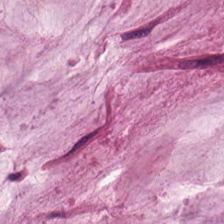H&E. Formalin-fixed paraffin-embedded section — This field is mucin.
